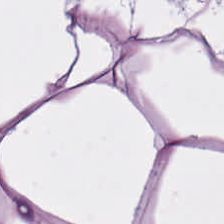FFPE. Hematoxylin-and-eosin stained section — Q: What is shown here?
A: It is adipose tissue.
